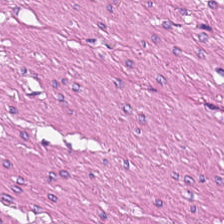H&E stain. 224×224 px tile.
Predominant tissue: smooth muscle.
